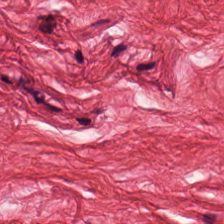Stain: H&E stain.
Tile size: 224×224 pixel tile.
Preparation: formalin-fixed paraffin-embedded section.
Tissue: muscularis.
